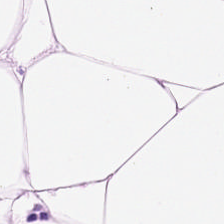H&E-stained tissue section · FFPE tissue section — {"tissue_type": "adipose tissue"}
